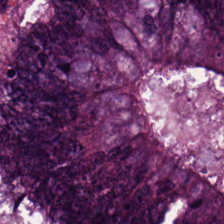Hematoxylin-and-eosin stained section · formalin-fixed paraffin-embedded section.
Tissue class — tumor epithelium.
